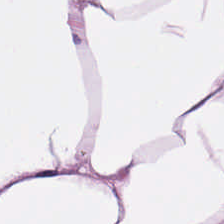H&E-stained tissue section — Tissue = fat tissue.
